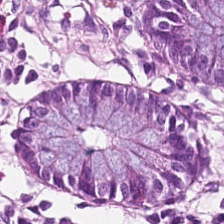H&E-stained section; the field shows non-neoplastic colon mucosa.
